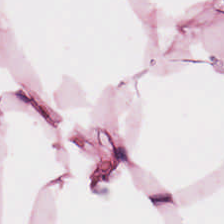0.5 µm/px · hematoxylin and eosin.
{"tissue_type": "adipose"}
